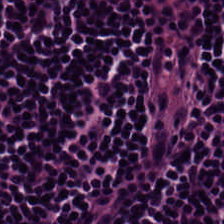Stain: H&E.
Predominant tissue: lymphocytes.
